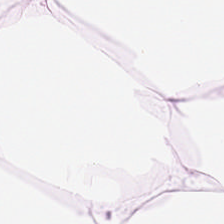Stain: hematoxylin and eosin.
Tissue class: adipose.
